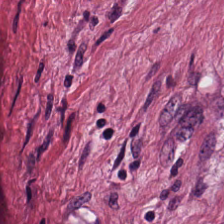Finding — cancer-associated stroma.
